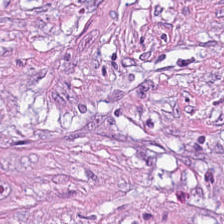Hematoxylin and eosin · FFPE tissue section.
Predominant tissue: cancer-associated stroma.
